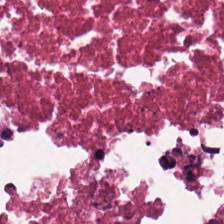Finding → debris.
